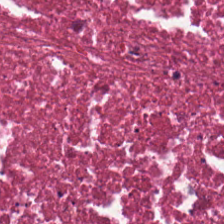Hematoxylin-and-eosin stained section. 224×224 pixel tile — Tissue — necrotic debris.
